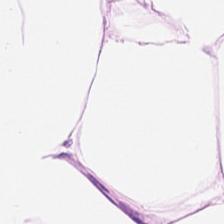H&E-stained tissue section — Q: What tissue is shown?
A: This is adipose tissue.
